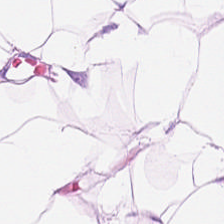H&E.
Q: What type of tissue is this?
A: This is adipocytes.
